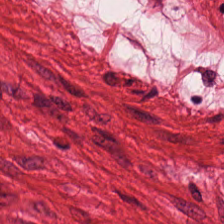Hematoxylin and eosin.
Showing smooth muscle.
